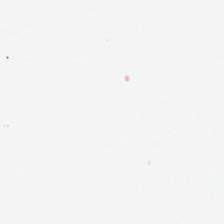Hematoxylin-and-eosin stained section — This patch shows background (no tissue).
